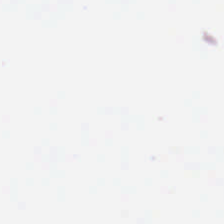Hematoxylin and eosin — Field content: background.
